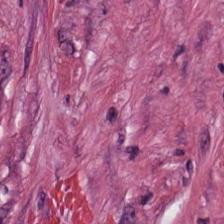Stain: hematoxylin and eosin.
Predominant tissue: tumor-associated stroma.
